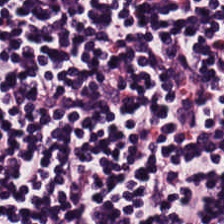H&E-stained tissue section.
This field is lymphocytic infiltrate.
